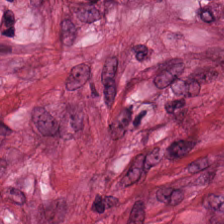{"tissue_type": "cancer-associated stroma"}
